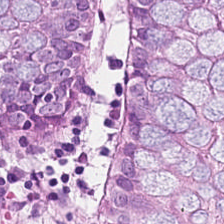H&E stain · 224×224 px tile.
Q: What is shown in this field?
A: The field shows normal colon mucosa.
